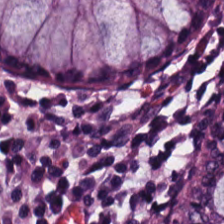Stain: hematoxylin and eosin.
Tile size: 224×224 px patch.
Tissue type: benign colonic mucosa.
